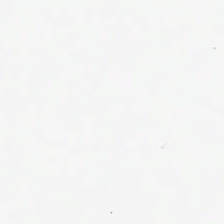224×224 pixel tile; H&E; 0.5 microns per pixel. Classification = no tissue.
